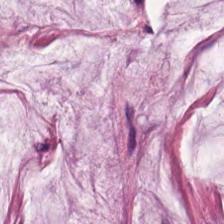Stain: hematoxylin-and-eosin stained section.
Tissue: mucus.
